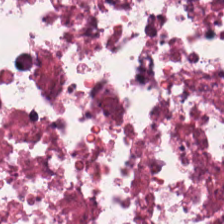Hematoxylin and eosin.
Classification — cellular debris.
